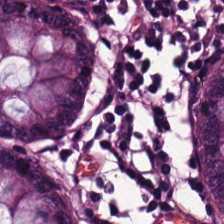224×224 pixel tile. WSI patch. H&E. Predominant tissue: normal colon mucosa.
